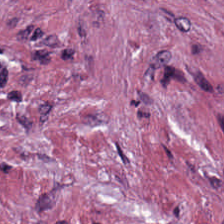This field is tumor stroma.
